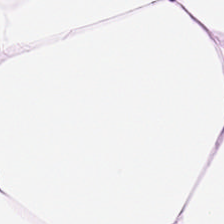Hematoxylin and eosin · whole-slide-image patch — Predominant tissue = adipose tissue.
